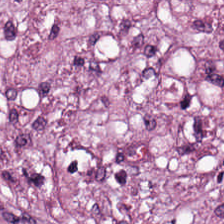FFPE tissue section. H&E-stained tissue section.
Q: What does this patch show?
A: Desmoplastic stroma.
